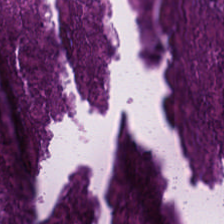Stain: H&E-stained tissue section.
Tissue type: debris.
